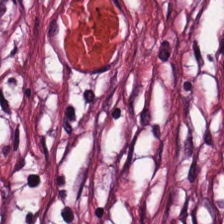H&E stain.
Predominantly tumor-associated stroma.
